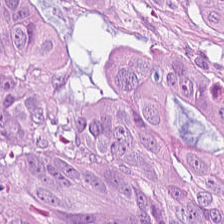Histology — colorectal adenocarcinoma epithelium.
